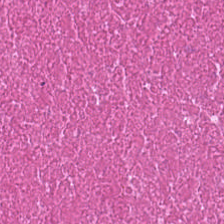Hematoxylin and eosin.
This patch shows necrotic debris.
